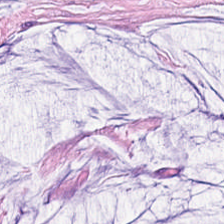H&E stain. Brightfield microscopy. 0.5 microns per pixel — Finding → mucin.
